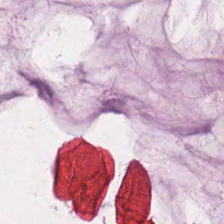Hematoxylin-and-eosin stained section; FFPE.
This field is extracellular mucin.
